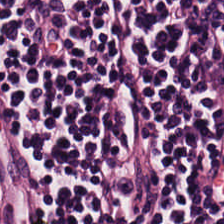H&E stain.
Tissue: lymphoid infiltrate.
